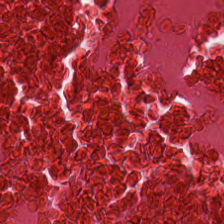Whole-slide-image patch · hematoxylin-and-eosin stained section · 20× equivalent magnification — The tissue here is debris.
